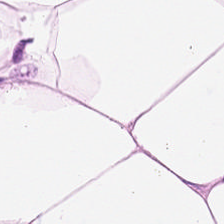Predominantly adipocytes.
